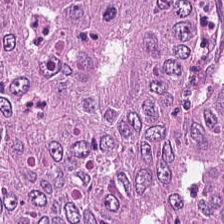H&E.
Q: What is shown in this field?
A: It is colorectal adenocarcinoma.
